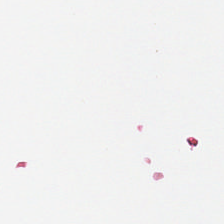Q: What is shown in this field?
A: It is background.
